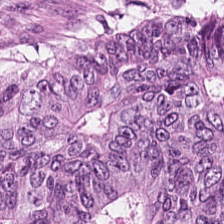Hematoxylin and eosin. Tissue type — malignant epithelium.
